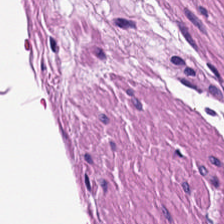0.5 µm/px. H&E. FFPE.
Q: What type of tissue is this?
A: It is smooth-muscle tissue.
